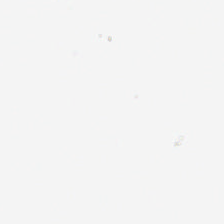H&E; FFPE. Finding — background (no tissue).
